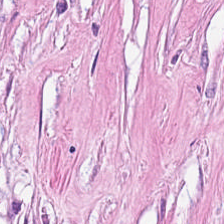Q: What type of tissue is this?
A: The field shows desmoplastic stroma.
